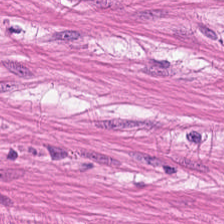Hematoxylin and eosin. This patch shows muscularis.
